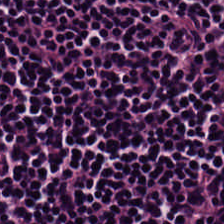H&E; FFPE tissue section. Impression — lymphoid infiltrate.
